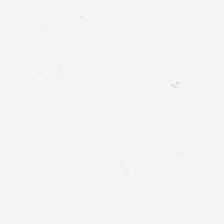Whole-slide-image patch · H&E · 224×224 px patch.
Classification: background.
